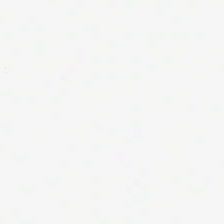Brightfield microscopy. H&E-stained tissue section.
Background (no tissue).
